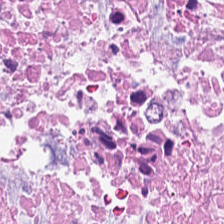FFPE tissue section. 224×224 px patch. Hematoxylin and eosin. Q: What type of tissue is this?
A: Cellular debris.
